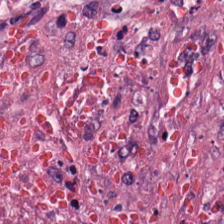H&E. Predominantly cellular debris.
